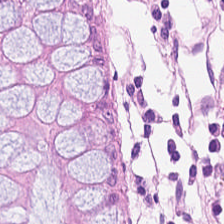Hematoxylin-and-eosin stained section.
Q: What does this patch show?
A: The field shows normal colon mucosa.
